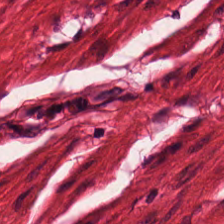H&E-stained tissue section.
Q: What type of tissue is this?
A: It is smooth muscle.
